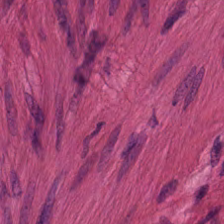H&E patch showing smooth muscle.
